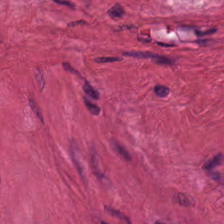Hematoxylin and eosin. Q: What tissue type is shown here?
A: This is smooth-muscle tissue.
